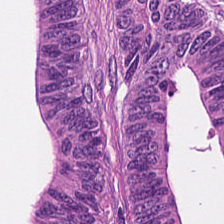224×224 px tile; brightfield; H&E-stained tissue section. The tissue is tumor epithelium.
